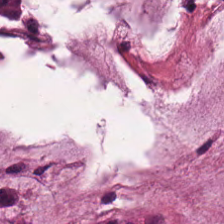H&E. FFPE. The predominant tissue is mucin.
